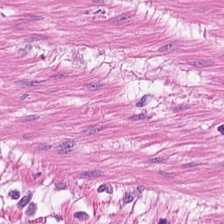Hematoxylin and eosin.
Impression → muscularis.
